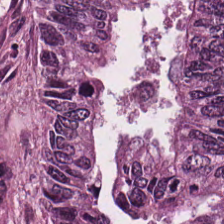Hematoxylin-and-eosin stained section. Whole-slide-image patch.
This patch shows colorectal adenocarcinoma epithelium.
